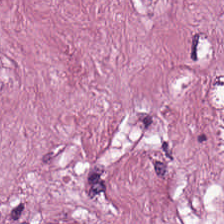224×224 pixel tile; H&E stain — Showing tumor stroma.
